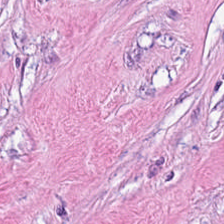H&E. This field is tumor stroma.
